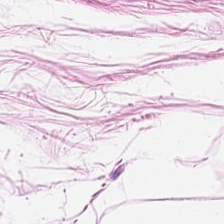Hematoxylin and eosin · WSI patch. The tissue class is adipocytes.
